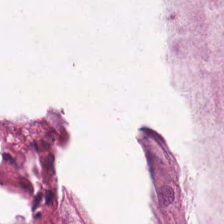H&E stain — Q: Identify the tissue.
A: This is mucin.
